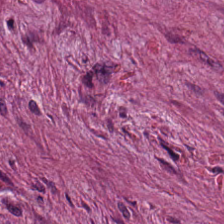Tissue class — cancer-associated stroma.
